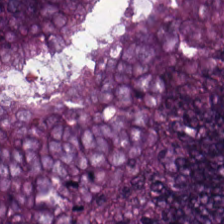Tumor epithelium.
